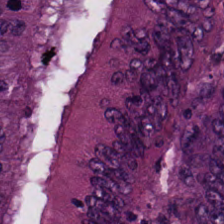Hematoxylin-and-eosin stained section — Finding — adenocarcinoma.
